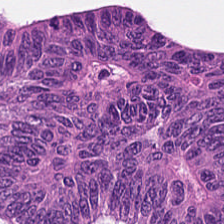Hematoxylin and eosin. Q: What tissue is shown?
A: It is malignant epithelium.
